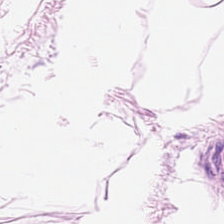0.5 microns per pixel; H&E stain; brightfield.
Tissue class — fat tissue.
